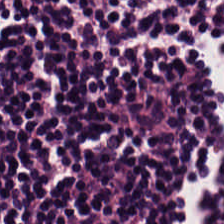Stain: hematoxylin and eosin.
Preparation: FFPE.
Resolution: 0.5 µm/px.
Tissue: lymphocyte aggregate.
